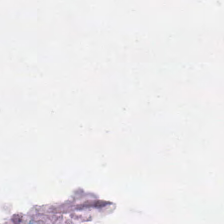Content — no tissue.
